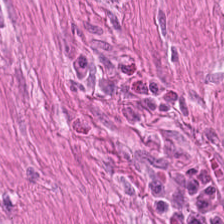H&E stain. Q: What tissue is shown?
A: This is smooth-muscle tissue.
